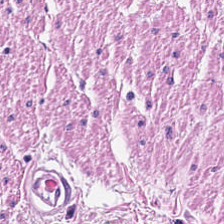FFPE tissue section. H&E. Q: Identify the tissue.
A: It is smooth-muscle tissue.
